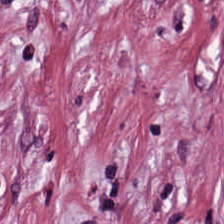H&E patch showing tumor-associated stroma.
